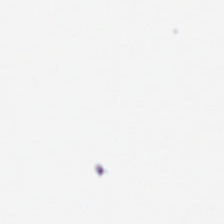H&E · 0.5 µm/px — No tissue present; background only.
